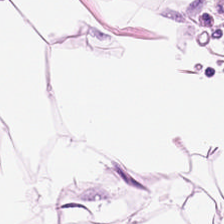This field is adipose tissue.
